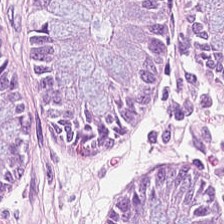Stain: H&E stain.
Tissue class: normal colonic mucosa.
